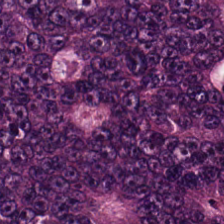This field is colorectal adenocarcinoma epithelium.
